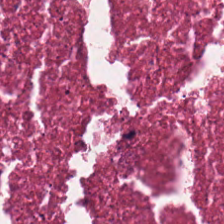0.5 µm per pixel. H&E — Showing debris.
